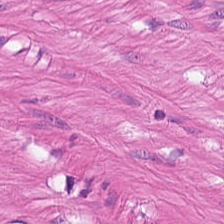Stain: hematoxylin-and-eosin stained section.
Acquisition: brightfield microscopy.
Tissue class: smooth muscle.
